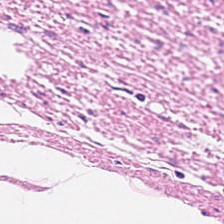Stain: H&E-stained tissue section.
Tissue type: muscularis.
